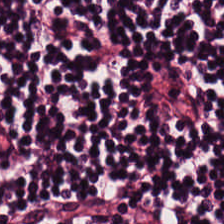Hematoxylin and eosin — The tissue here is lymphoid infiltrate.
